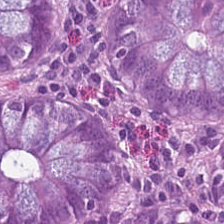The predominant tissue is benign colonic mucosa.
